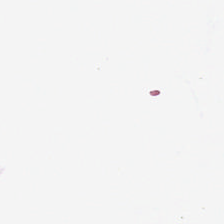Hematoxylin and eosin · 224×224 px patch. Content = empty background.
